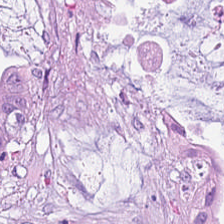WSI patch; hematoxylin and eosin — Q: What is the predominant tissue type?
A: The field shows mucin.
